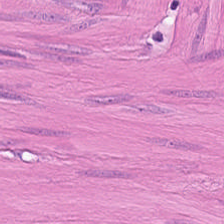Tissue type — smooth-muscle tissue.
